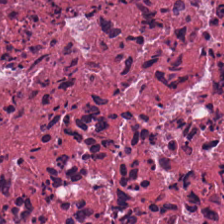Hematoxylin and eosin.
Necrotic debris.
